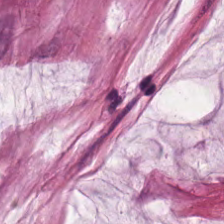H&E.
The tissue here is mucin.
